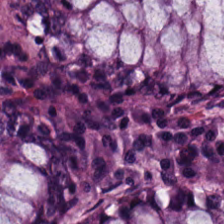H&E — This field is benign colonic mucosa.
